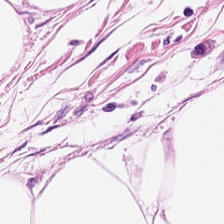0.5 µm/px · hematoxylin-and-eosin stained section · FFPE.
Tissue class — adipocytes.
